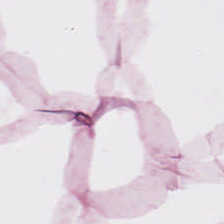224×224 px tile. H&E-stained tissue section. Predominantly adipocytes.
